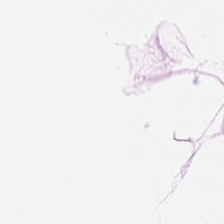Stain: H&E-stained tissue section.
Acquisition: whole-slide-image patch.
Tile size: 224×224 px tile.
Classification: adipose.
